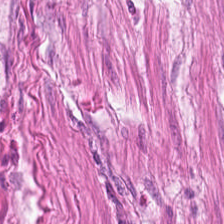Stain: H&E.
Preparation: FFPE tissue section.
Tissue: muscularis.
